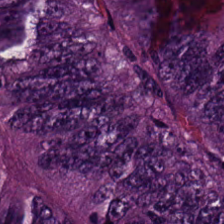Tissue class: tumor epithelium.
